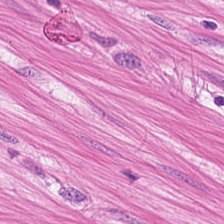Predominant tissue: smooth-muscle tissue.
